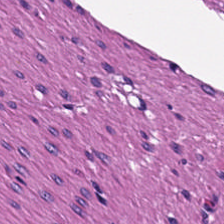H&E. Formalin-fixed paraffin-embedded section.
This patch shows smooth muscle.
